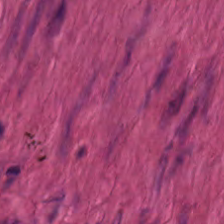Hematoxylin and eosin.
Classification — smooth muscle.
